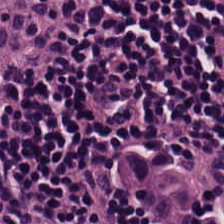Impression — lymphoid infiltrate.
